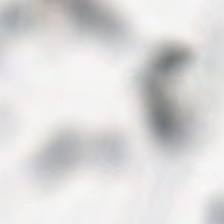H&E stain. Field content: empty background.
